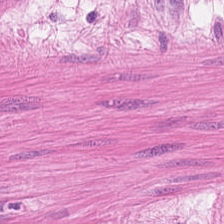Stain: H&E.
Preparation: FFPE.
Acquisition: brightfield microscopy.
Predominant tissue: smooth-muscle tissue.
